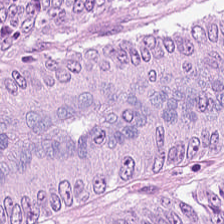{"tissue_type": "tumor epithelium"}
